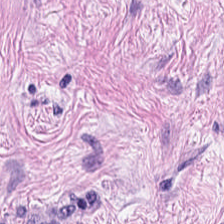Whole-slide-image patch. H&E. 0.5 microns per pixel — Predominantly cancer-associated stroma.
